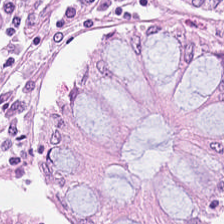H&E stain. This patch shows normal colon mucosa.
